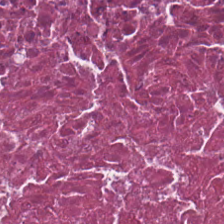The predominant tissue is debris.
